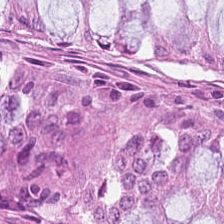Tissue type: normal colonic mucosa.
